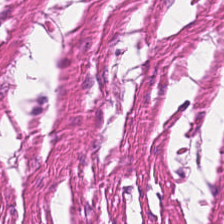H&E stain. Muscularis.
